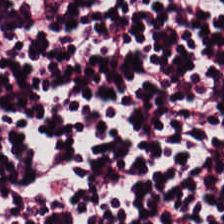Stain: H&E-stained tissue section.
Tile size: 224×224 px patch.
Tissue: lymphocytes.
